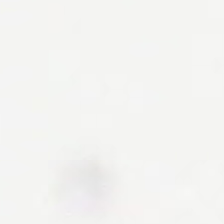Hematoxylin and eosin. Brightfield. 0.5 µm/px — The classification is background (no tissue).
